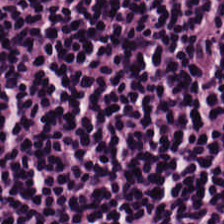Hematoxylin-and-eosin stained section; 0.5 µm/px. Q: What does this patch show?
A: This is lymphoid infiltrate.
